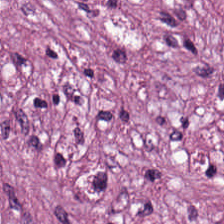Tissue: desmoplastic stroma.
